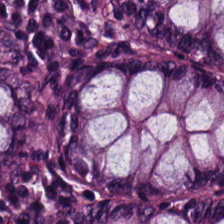Showing benign colonic mucosa.
